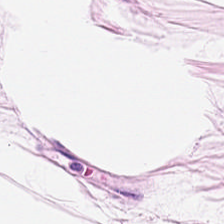Q: Identify the tissue.
A: It is adipose.
